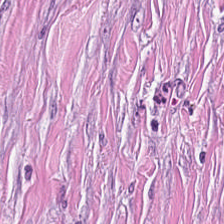Stain: H&E-stained tissue section.
Predominant tissue: tumor-associated stroma.
